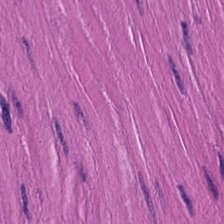H&E — smooth-muscle tissue.
